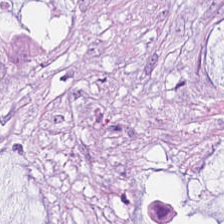H&E stain.
Predominant tissue: mucin.
